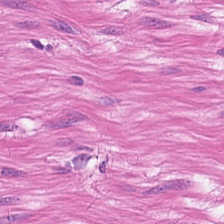Predominant tissue — muscularis.
